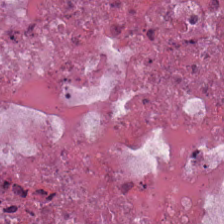Showing debris.
